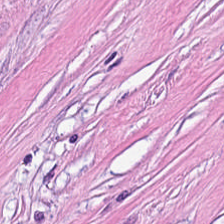FFPE tissue section; 224×224 px tile; H&E-stained tissue section. Showing tumor stroma.
